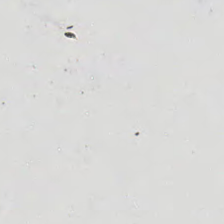Stain: H&E.
Classification: empty background.
